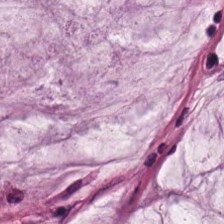Stain: H&E-stained tissue section.
Tissue type: extracellular mucin.
